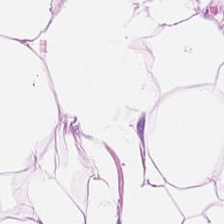H&E-stained tissue section. The tissue here is adipocytes.
